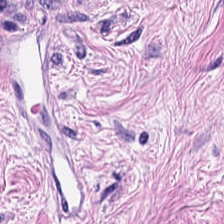Classification: tumor stroma.
